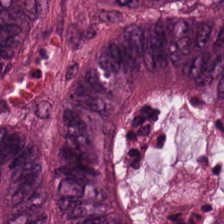The predominant tissue is colorectal adenocarcinoma epithelium.
